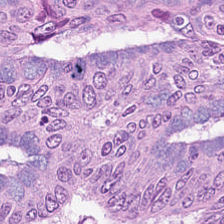The tissue class is colorectal adenocarcinoma epithelium.
